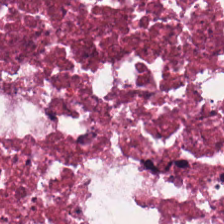Stain: H&E-stained tissue section.
Classification: debris.
